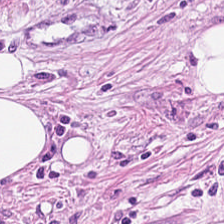Stain: hematoxylin and eosin.
Classification: cancer-associated stroma.
